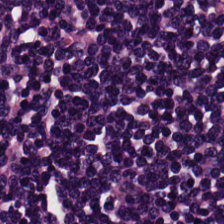Hematoxylin and eosin — Lymphocyte aggregate.
